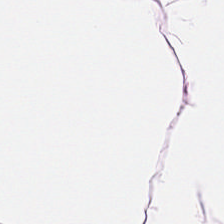Stain: H&E stain.
Predominant tissue: adipocytes.
